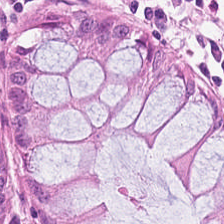The predominant tissue is benign colonic mucosa.
